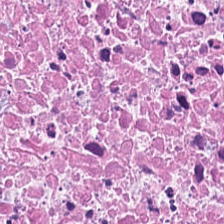This patch shows debris.
